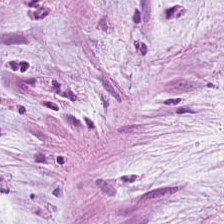Hematoxylin-and-eosin stained section.
Predominantly mucin.
